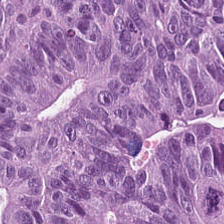H&E-stained tissue section.
The tissue is colorectal adenocarcinoma.
